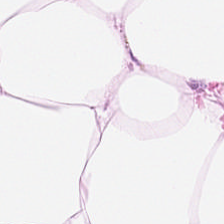H&E stain — Tissue type = adipocytes.
